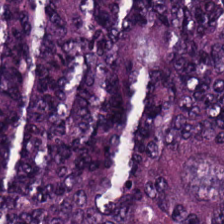Finding — colorectal adenocarcinoma epithelium.
